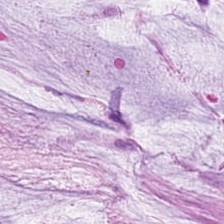WSI patch. 224×224 pixel tile. H&E.
This field is mucus.
